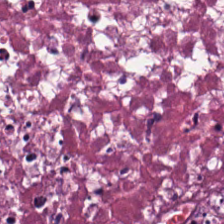Hematoxylin-and-eosin stained section; 224×224 px patch — The tissue class is necrotic debris.
